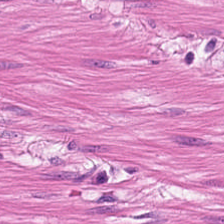0.5 microns per pixel. 224×224 px patch. Hematoxylin and eosin.
Predominant tissue = muscularis.
